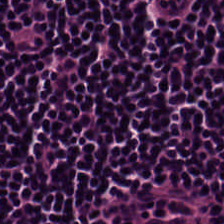H&E — lymphocytic infiltrate.
